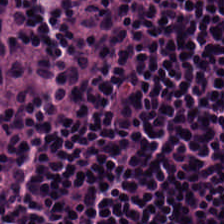H&E-stained tissue section; 224×224 px patch; 0.5 microns per pixel — Classification — lymphocyte aggregate.
